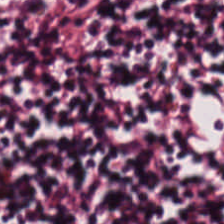224×224 px tile · H&E-stained tissue section. This field is lymphocyte aggregate.
